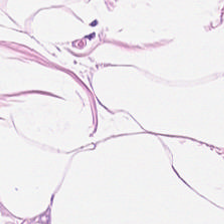Hematoxylin-and-eosin stained section.
This patch shows adipose.
